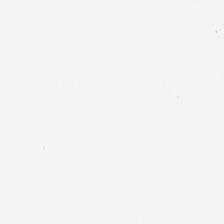Empty background.
